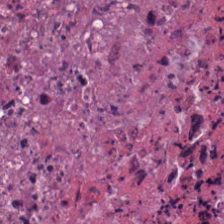Hematoxylin and eosin · 224×224 px tile — The predominant tissue is cellular debris.
